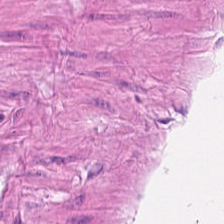FFPE. H&E — Showing smooth muscle.
